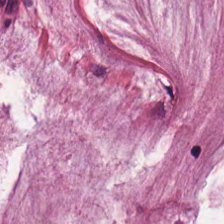Tissue type — mucin.
